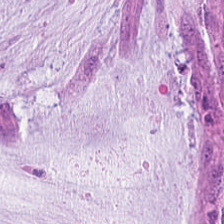This patch shows mucus.
